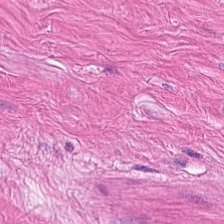H&E stain · 0.5 µm per pixel — Tissue — smooth muscle.
